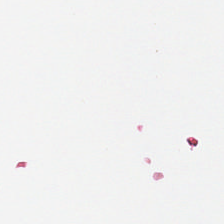0.5 µm/px. Brightfield. H&E stain.
Q: What does this patch show?
A: It is no tissue.
